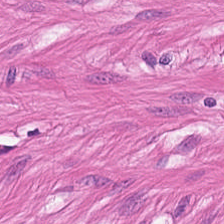H&E stain. This field is muscularis.
